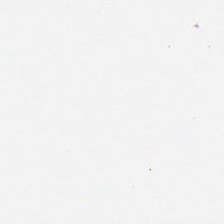H&E. Brightfield microscopy. {"content": "background (no tissue)"}
